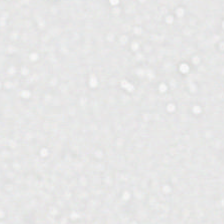Hematoxylin and eosin · FFPE tissue section · 0.5 µm/px. Field content = empty background.
